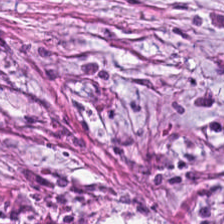0.5 µm/px; hematoxylin-and-eosin stained section — Q: What is shown here?
A: Tumor stroma.
